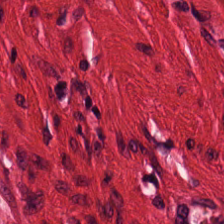Stain: hematoxylin-and-eosin stained section.
Tissue class: smooth muscle.
